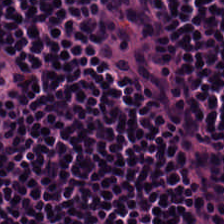Hematoxylin-and-eosin stained section · 224×224 pixel tile.
The predominant tissue is lymphocyte aggregate.
